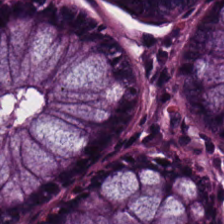H&E-stained tissue section · 224×224 pixel tile · 0.5 µm per pixel.
Q: What tissue is shown?
A: It is benign colonic mucosa.
